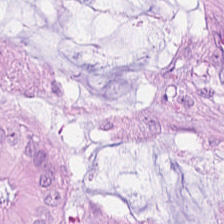224×224 px tile. Hematoxylin and eosin. WSI patch. Q: Identify the tissue.
A: Adenocarcinoma.
